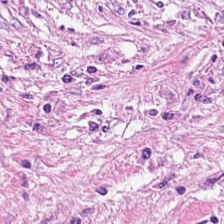Hematoxylin-and-eosin stained section. 20× equivalent magnification. WSI patch. This patch shows tumor-associated stroma.
